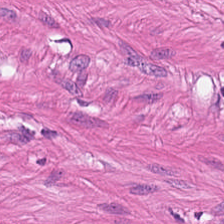Hematoxylin-and-eosin stained section.
Histology → smooth-muscle tissue.
